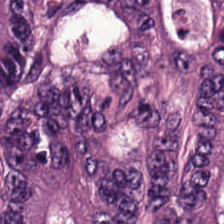The predominant tissue is colorectal adenocarcinoma epithelium.
